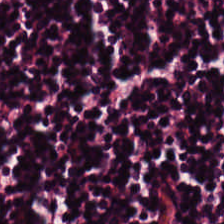Histology — lymphocyte aggregate.
